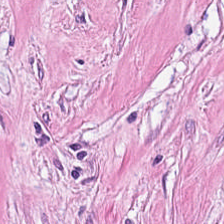Hematoxylin-and-eosin stained section. Whole-slide-image patch — {"tissue_type": "cancer-associated stroma"}
